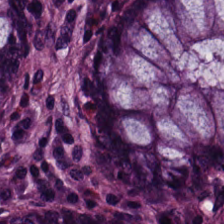H&E stain; whole-slide-image patch; 0.5 microns per pixel. This patch shows non-neoplastic colon mucosa.
